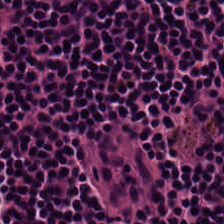Stain: H&E stain.
Tile size: 224×224 pixel tile.
Acquisition: brightfield microscopy.
Tissue type: lymphocytes.
